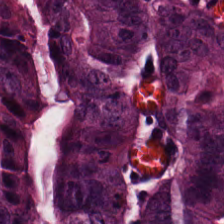20× equivalent magnification. H&E. Q: What is shown in this field?
A: This is adenocarcinoma.
